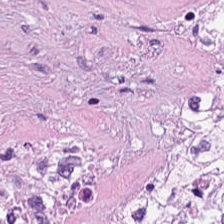H&E-stained tissue section showing cellular debris.
